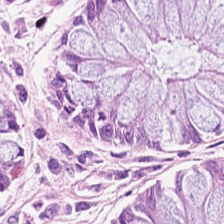H&E; WSI patch. Showing normal colonic mucosa.
